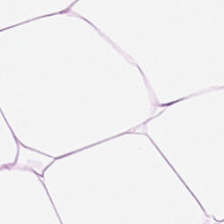H&E stain; 224×224 pixel tile. Impression — adipocytes.
